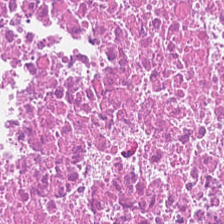H&E stain. Formalin-fixed paraffin-embedded section. 0.5 microns per pixel — Finding → cellular debris.
